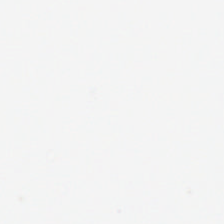H&E-stained tissue section — Background — no tissue in this field.
